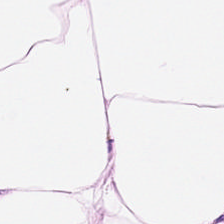Hematoxylin and eosin. 0.5 µm per pixel.
Fat tissue.
